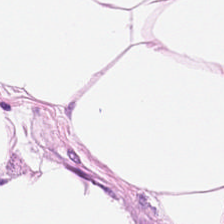Hematoxylin and eosin. Predominantly adipose tissue.
